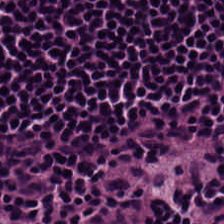224×224 px tile. H&E-stained tissue section.
Tissue: lymphocytes.
